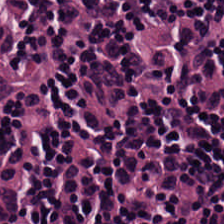224×224 px patch. H&E-stained tissue section. FFPE tissue section — The tissue here is lymphocytic infiltrate.
